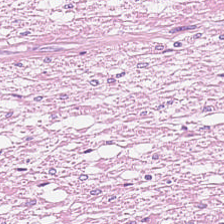H&E stain. Showing smooth-muscle tissue.
